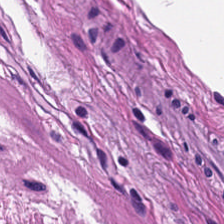Impression → smooth-muscle tissue.
